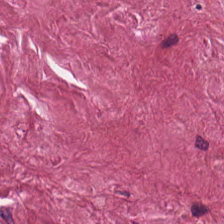H&E stain — Q: Classify this patch.
A: Desmoplastic stroma.
